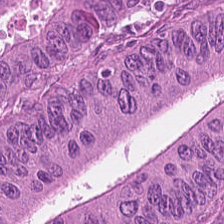Hematoxylin and eosin; 0.5 microns per pixel.
The predominant tissue is tumor epithelium.
